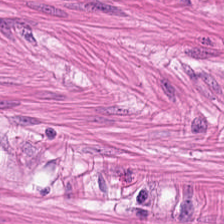Histology → muscularis.
